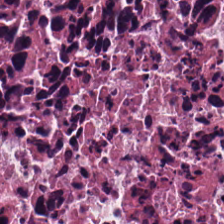H&E stain — Showing debris.
